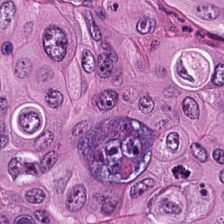Impression — tumor epithelium.
